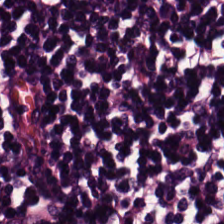Tissue type: lymphocyte aggregate.
